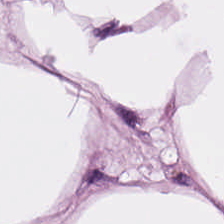FFPE; H&E-stained tissue section; brightfield microscopy. Tissue type: fat tissue.
